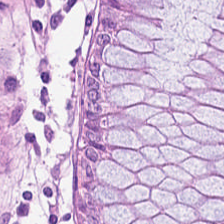0.5 µm per pixel. H&E-stained tissue section — This patch shows normal colonic mucosa.
